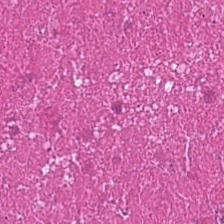FFPE; H&E stain.
Impression → necrotic debris.
